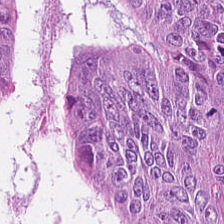H&E stain. 0.5 microns per pixel — Predominant tissue — malignant epithelium.
